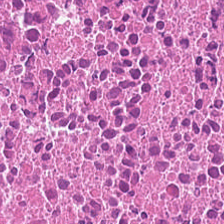Histology — debris.
